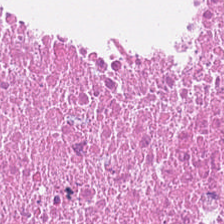Hematoxylin-and-eosin stained section. This patch shows cellular debris.
